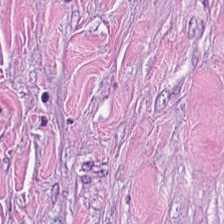0.5 microns per pixel. H&E-stained tissue section. Tissue = cancer-associated stroma.
